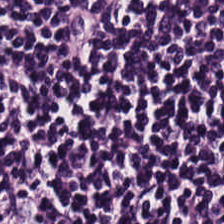The tissue here is lymphocytes.
